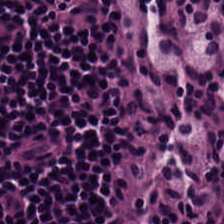H&E — lymphocyte aggregate.
